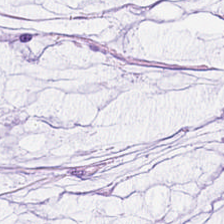224×224 px patch. H&E-stained tissue section. Formalin-fixed paraffin-embedded section — The tissue here is mucus.
